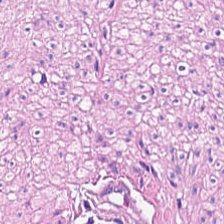0.5 µm/px. H&E stain.
Showing smooth muscle.
